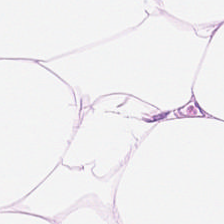H&E — Tissue — adipocytes.
